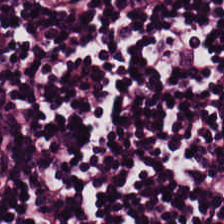H&E-stained tissue section; formalin-fixed paraffin-embedded section; 224×224 px patch. Q: Classify this patch.
A: It is lymphocytic infiltrate.
